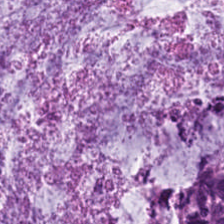Predominantly mucus.
